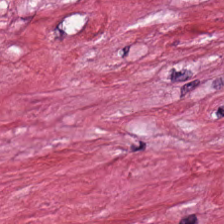H&E — This patch shows cancer-associated stroma.
